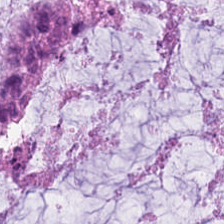Hematoxylin and eosin.
Predominant tissue = extracellular mucin.
